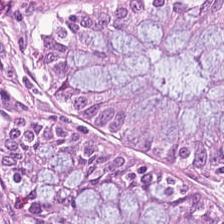Hematoxylin and eosin. WSI patch.
Q: Identify the tissue.
A: It is normal colonic mucosa.
